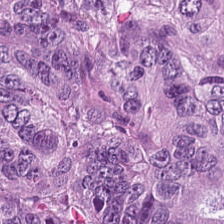Hematoxylin-and-eosin stained section.
{"tissue_type": "tumor epithelium"}
